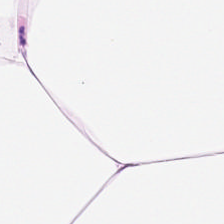Hematoxylin-and-eosin stained section.
Q: Classify this patch.
A: Adipose.
